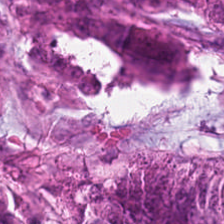The tissue class is colorectal adenocarcinoma.
